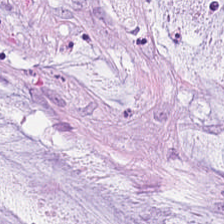Tissue — mucus.
